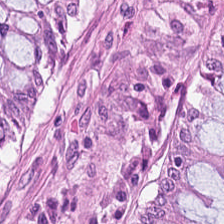H&E stain.
{"tissue_type": "benign colonic mucosa"}
